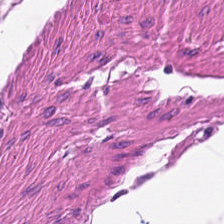Stain: H&E.
Preparation: FFPE tissue section.
Tile size: 224×224 px patch.
Classification: muscularis.
